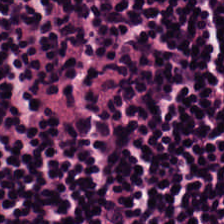H&E stain. FFPE tissue section. Q: What is shown here?
A: Lymphocytes.
